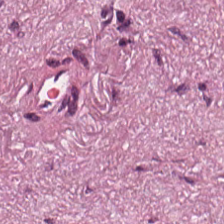WSI patch. Hematoxylin-and-eosin stained section — Predominant tissue: tumor stroma.
